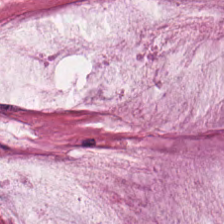H&E stain. Formalin-fixed paraffin-embedded section — Q: What tissue type is shown here?
A: This is mucus.
